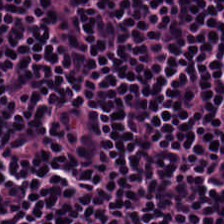Q: Classify this patch.
A: Lymphocyte aggregate.
